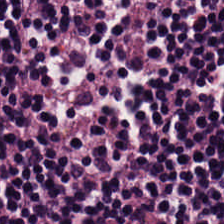Stain: H&E.
Resolution: 20× equivalent magnification.
Tissue: lymphocyte aggregate.
